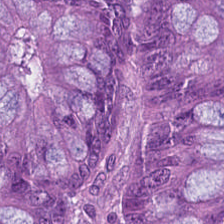Stain: hematoxylin-and-eosin stained section.
Tissue class: colorectal adenocarcinoma.
